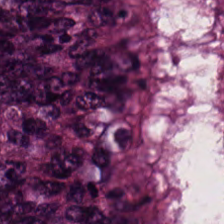The predominant tissue is colorectal adenocarcinoma epithelium.
